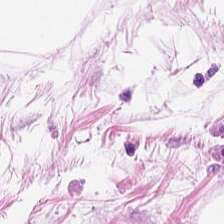Stain: H&E stain.
Acquisition: whole-slide-image patch.
Preparation: formalin-fixed paraffin-embedded section.
Predominant tissue: adipocytes.
